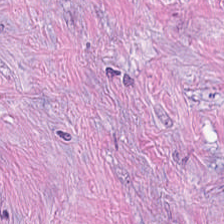Finding — desmoplastic stroma.
